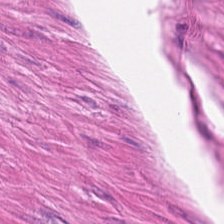Q: What is shown here?
A: This is smooth-muscle tissue.
